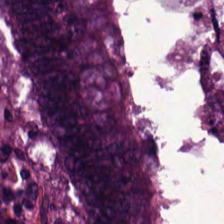Stain: H&E.
Tile size: 224×224 pixel tile.
Classification: colorectal adenocarcinoma epithelium.
